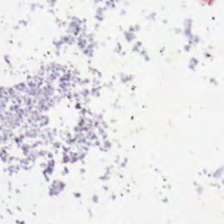FFPE · hematoxylin-and-eosin stained section — This field is background (no tissue).
